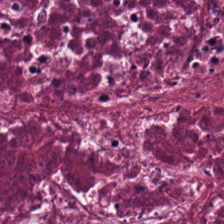Hematoxylin-and-eosin stained section.
Showing necrotic debris.
